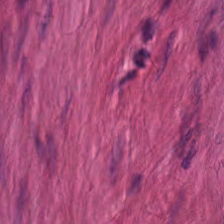224×224 px tile. Hematoxylin-and-eosin stained section — Tissue — smooth-muscle tissue.
